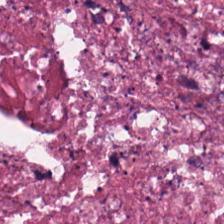224×224 pixel tile. H&E. The tissue here is cellular debris.
